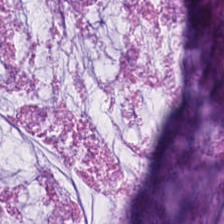H&E-stained section; the field shows mucin.
